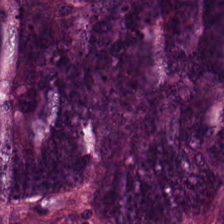Hematoxylin and eosin.
Predominant tissue = colorectal adenocarcinoma.
